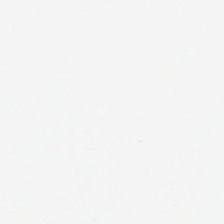This patch shows background.
